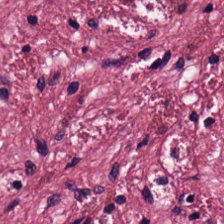FFPE · H&E stain — {"tissue_type": "tumor stroma"}
